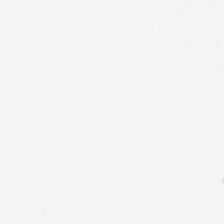H&E stain.
Background — no tissue in this field.
